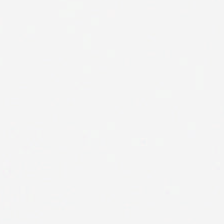Stain: H&E.
Classification: background.
